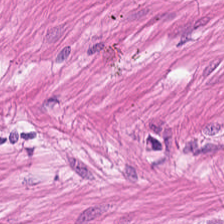Q: Classify this patch.
A: The field shows smooth-muscle tissue.
